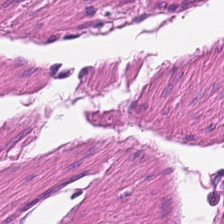224×224 px patch · H&E stain. The tissue is smooth muscle.
